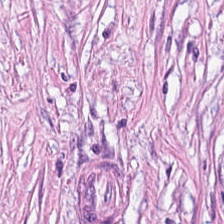H&E; brightfield. Q: What type of tissue is this?
A: It is cancer-associated stroma.
